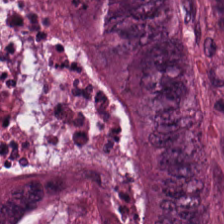Hematoxylin and eosin.
Q: What tissue type is shown here?
A: It is malignant epithelium.
